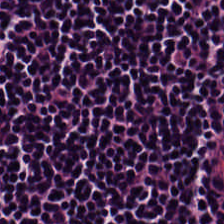Stain: H&E stain.
Classification: lymphoid infiltrate.
